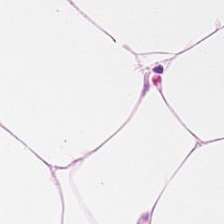The classification is adipocytes.
